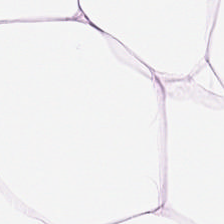20× equivalent magnification; hematoxylin and eosin; formalin-fixed paraffin-embedded section. The tissue type is adipose.
